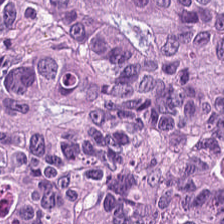H&E stain; 224×224 px patch.
This field is colorectal adenocarcinoma epithelium.
